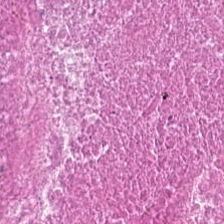H&E stain. Q: What does this patch show?
A: Necrotic debris.
